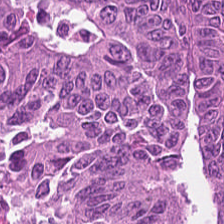Hematoxylin and eosin. Tissue — tumor epithelium.
